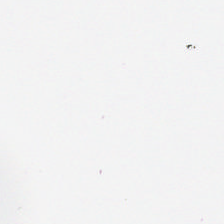H&E stain · whole-slide-image patch — No tissue.
